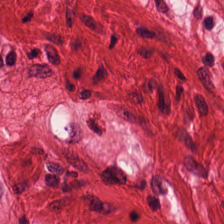Q: What type of tissue is this?
A: The field shows muscularis.
